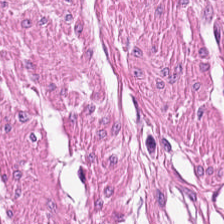FFPE; hematoxylin-and-eosin stained section.
Muscularis.
